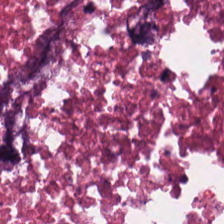H&E-stained tissue section. Showing necrotic debris.
